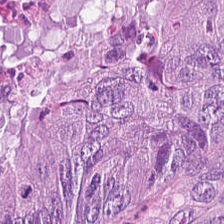Stain: H&E-stained tissue section.
Acquisition: brightfield.
Tissue: malignant epithelium.
